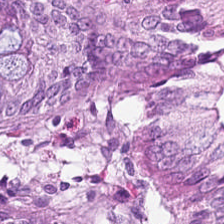Hematoxylin-and-eosin section: normal colonic mucosa.
